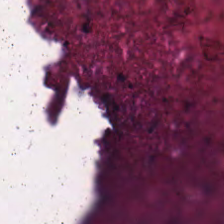H&E-stained tissue section. 224×224 pixel tile. 0.5 microns per pixel — The tissue here is necrotic debris.
